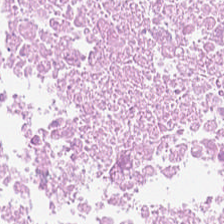Hematoxylin and eosin.
Q: What tissue type is shown here?
A: Cellular debris.
